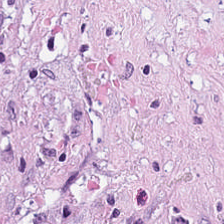Stain: H&E-stained tissue section.
Resolution: 0.5 µm/px.
Tissue type: desmoplastic stroma.
